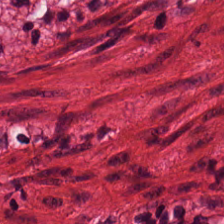0.5 µm per pixel · formalin-fixed paraffin-embedded section · H&E-stained tissue section. Q: What is shown in this field?
A: This is smooth muscle.
